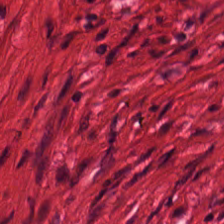Hematoxylin and eosin. Q: What does this patch show?
A: Muscularis.
